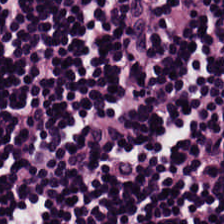H&E-stained tissue section; brightfield. The tissue is lymphocytes.
